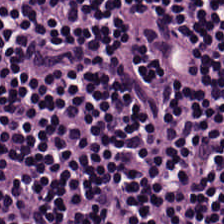H&E stain · whole-slide-image patch.
Finding — lymphocytes.
